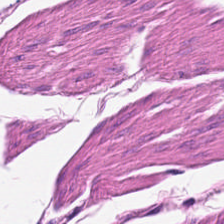Classification = smooth muscle.
